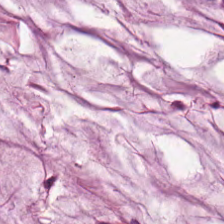Brightfield microscopy; 224×224 pixel tile; hematoxylin and eosin.
Q: What is shown here?
A: The field shows extracellular mucin.
